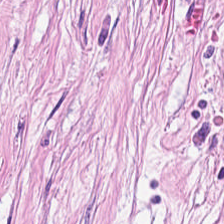H&E stain — Tissue type: tumor-associated stroma.
